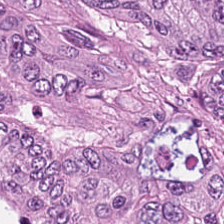Q: What is the predominant tissue type?
A: Colorectal adenocarcinoma.
